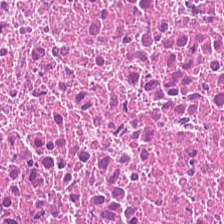224×224 px patch. H&E-stained tissue section. The tissue here is necrotic debris.
